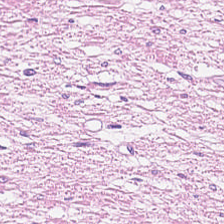224×224 px tile. FFPE tissue section. Hematoxylin-and-eosin stained section — Tissue class = smooth-muscle tissue.
